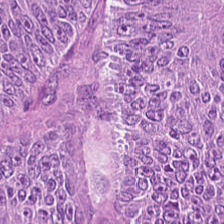H&E — Q: What type of tissue is this?
A: Adenocarcinoma.
